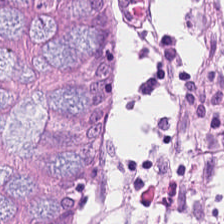The predominant tissue is non-neoplastic colon mucosa.
